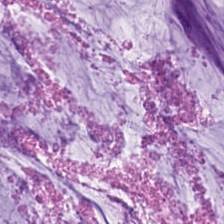H&E.
Impression — extracellular mucin.
